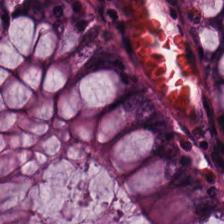H&E-stained tissue section. The predominant tissue is non-neoplastic colon mucosa.
